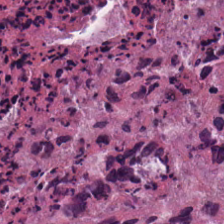Hematoxylin and eosin.
Histology → necrotic debris.
